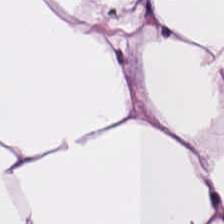20× equivalent magnification · FFPE tissue section · H&E. This field is adipocytes.
